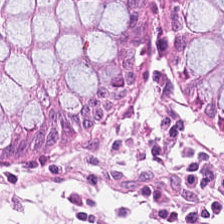Tissue = normal colon mucosa.
